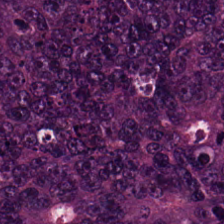Stain: H&E stain.
Tissue class: adenocarcinoma.
